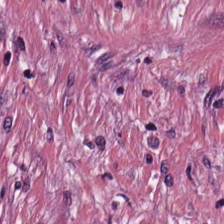Classification = tumor stroma.
